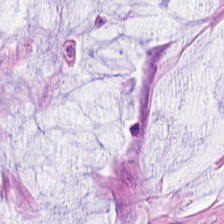{"tissue_type": "mucin"}
